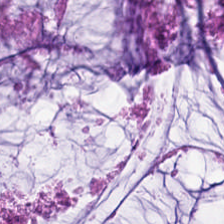H&E-stained tissue section; WSI patch — Mucus.
